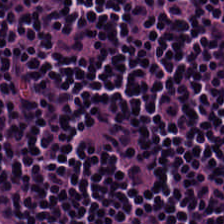H&E stain; 20× equivalent magnification — Predominant tissue: lymphocytes.
